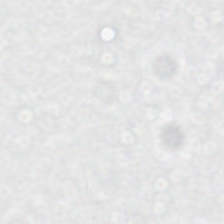Background (no tissue).
